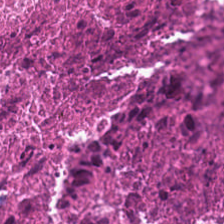Hematoxylin-and-eosin stained section. Brightfield. Formalin-fixed paraffin-embedded section. Impression — cellular debris.
